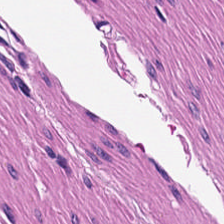H&E stain — Predominantly smooth muscle.
